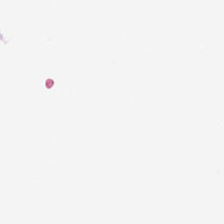H&E — Empty field — background (no tissue).
